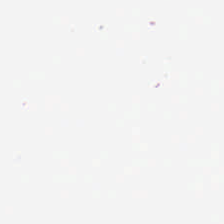Hematoxylin and eosin. WSI patch.
This field is background (no tissue).
